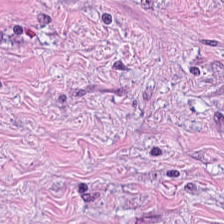H&E.
Classification — tumor-associated stroma.
